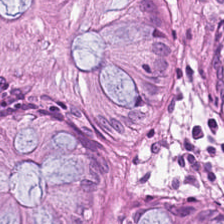Stain: H&E.
Tissue class: normal colon mucosa.
